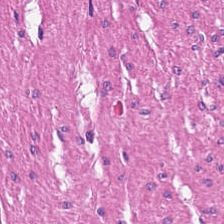Tissue class — smooth-muscle tissue.
